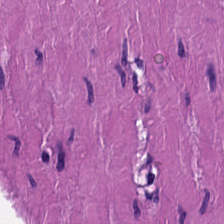H&E stain. Predominantly muscularis.
